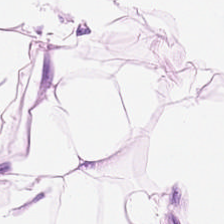Stain: H&E stain.
Tissue: adipocytes.
